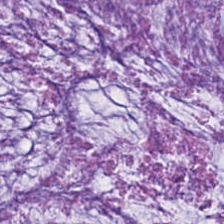Stain: H&E.
Predominant tissue: extracellular mucin.
